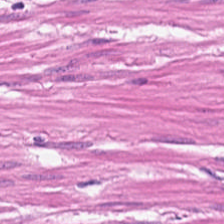Stain: H&E-stained tissue section.
Tissue type: muscularis.
